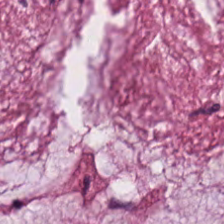Stain: H&E stain.
Predominant tissue: mucin.
